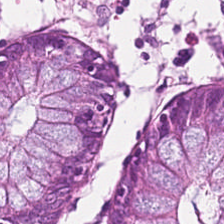Hematoxylin and eosin.
This patch shows non-neoplastic colon mucosa.
